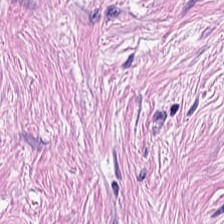Finding → desmoplastic stroma.
